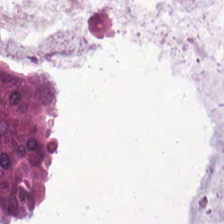Hematoxylin and eosin.
The predominant tissue is extracellular mucin.
